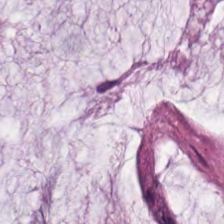Stain: hematoxylin-and-eosin stained section.
Resolution: 20× equivalent magnification.
Tissue class: extracellular mucin.
